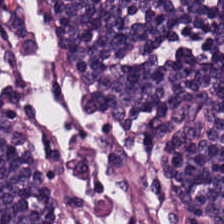The predominant tissue is lymphocytic infiltrate.
